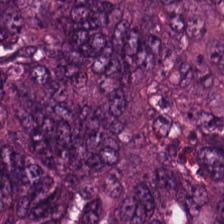Formalin-fixed paraffin-embedded section. H&E-stained tissue section — This patch shows colorectal adenocarcinoma.
